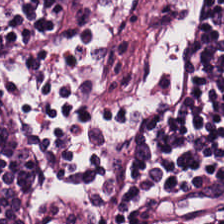H&E — Impression — lymphocyte aggregate.
